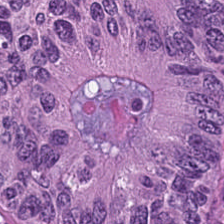H&E stain — Q: What is the predominant tissue type?
A: It is malignant epithelium.
